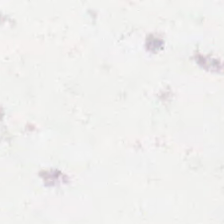Background — no tissue in this field.
